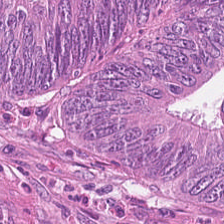Stain: hematoxylin-and-eosin stained section.
Tile size: 224×224 px tile.
Preparation: FFPE.
Classification: tumor epithelium.
